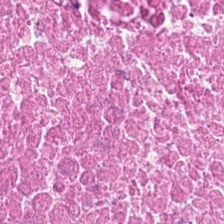FFPE · H&E stain.
Tissue = debris.
